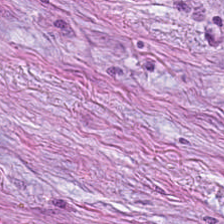Hematoxylin and eosin — Showing tumor-associated stroma.
